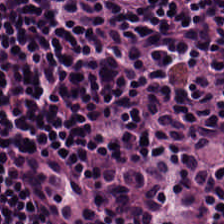Hematoxylin-and-eosin stained section.
This field is lymphoid infiltrate.
